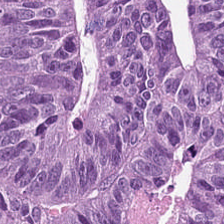H&E-stained tissue section. 224×224 pixel tile. Formalin-fixed paraffin-embedded section.
{"tissue_type": "malignant epithelium"}
